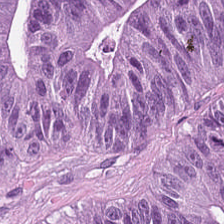224×224 px tile. WSI patch. H&E-stained tissue section.
Tissue type — malignant epithelium.
